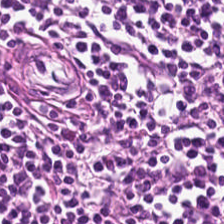Impression → lymphocytic infiltrate.
